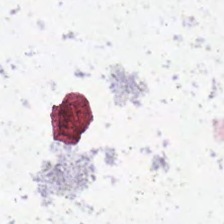224×224 px tile · H&E-stained tissue section · 0.5 µm per pixel.
Empty field — empty background.
